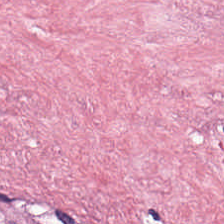Hematoxylin-and-eosin stained section — Impression — tumor-associated stroma.
